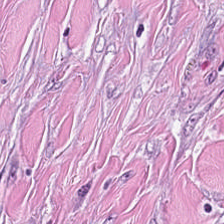224×224 px tile; H&E stain. The predominant tissue is tumor-associated stroma.
